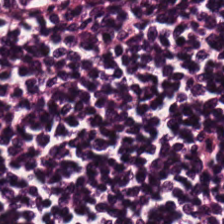H&E stain. Lymphocytic infiltrate.
